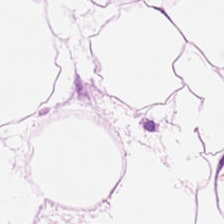H&E — This patch shows adipose.
